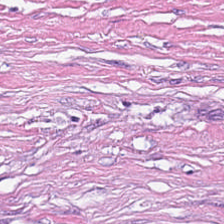Brightfield; H&E-stained tissue section; formalin-fixed paraffin-embedded section.
Classification = tumor stroma.
